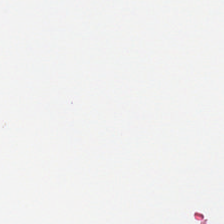Q: Classify this patch.
A: Empty background.
